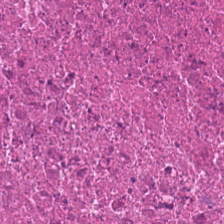Tissue — cellular debris.
